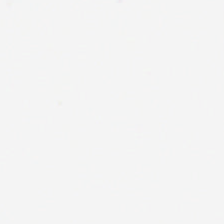FFPE · H&E stain. Impression — background.
